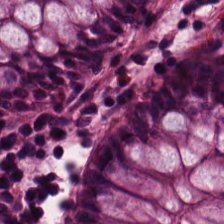Hematoxylin and eosin — Classification: normal colon mucosa.
